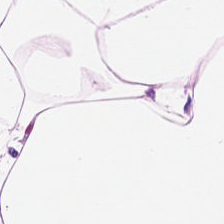H&E stain — Adipocytes.
